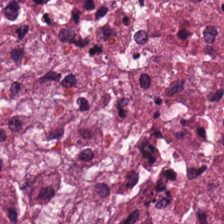H&E-stained section; the field shows cellular debris.
